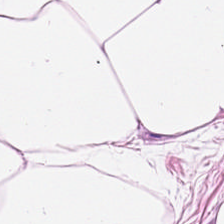Stain: hematoxylin-and-eosin stained section.
Classification: adipocytes.
